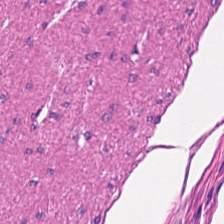Stain: hematoxylin-and-eosin stained section.
Acquisition: whole-slide-image patch.
Tile size: 224×224 px patch.
Tissue class: muscularis.
